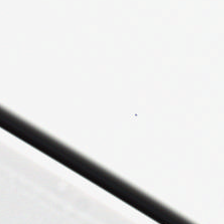Hematoxylin-and-eosin stained section · 224×224 px patch — Content: empty background.
